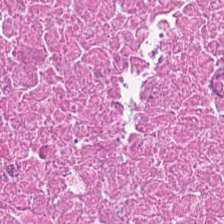Histology → necrotic debris.
